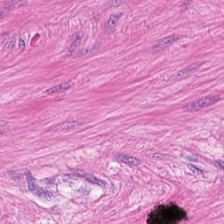0.5 µm per pixel · H&E · formalin-fixed paraffin-embedded section. Q: Classify this patch.
A: It is smooth muscle.
